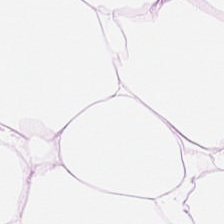Stain: hematoxylin and eosin.
Resolution: 0.5 µm per pixel.
Tissue class: adipose tissue.
